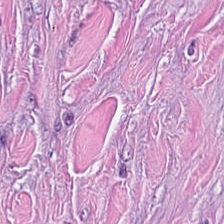Formalin-fixed paraffin-embedded section; H&E stain.
The tissue here is tumor stroma.
